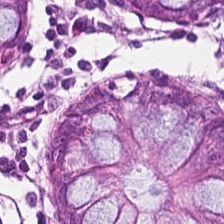Tissue type = benign colonic mucosa.
